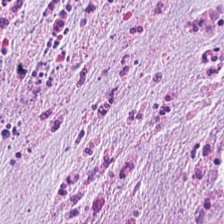Hematoxylin-and-eosin stained section — Tumor stroma.
